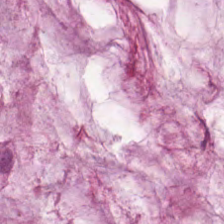H&E-stained tissue section · 0.5 µm per pixel — Q: What type of tissue is this?
A: The field shows mucin.
